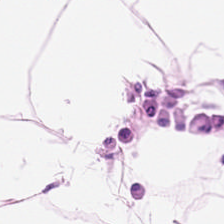Hematoxylin-and-eosin stained section · WSI patch. Tissue class — fat tissue.
